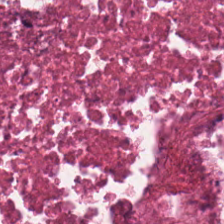Hematoxylin and eosin — Impression — cellular debris.
